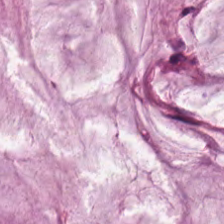Tissue: mucin.
